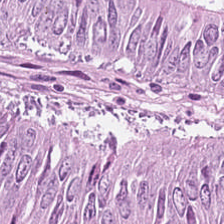H&E.
Q: What is the predominant tissue type?
A: The field shows tumor epithelium.
